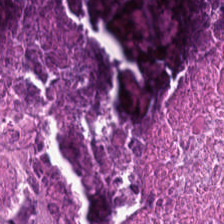H&E-stained tissue section. Impression → necrotic debris.
